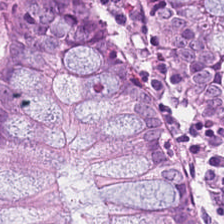H&E; 0.5 µm/px — Q: What does this patch show?
A: The field shows benign colonic mucosa.
